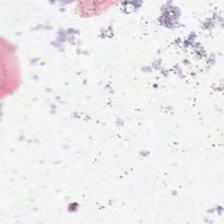0.5 µm per pixel; H&E stain.
Content — empty background.
